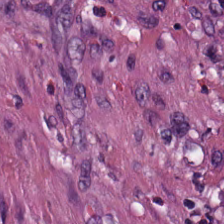{"tissue_type": "desmoplastic stroma"}
